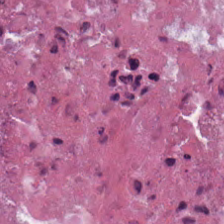Stain: H&E stain.
Tissue: cellular debris.
